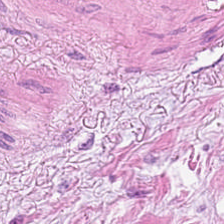H&E patch showing cancer-associated stroma.
